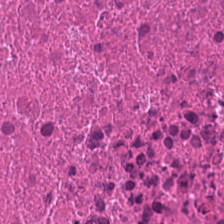Hematoxylin-and-eosin stained section — This field is cellular debris.
